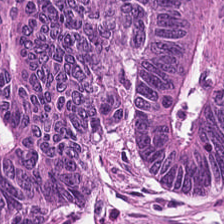Tissue: colorectal adenocarcinoma.
